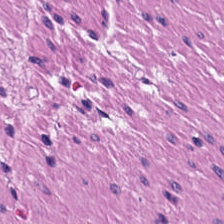H&E stain. Q: What tissue is shown?
A: The field shows smooth-muscle tissue.
